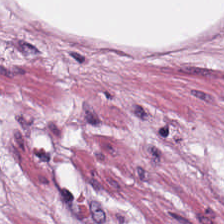Hematoxylin-and-eosin stained section · 224×224 pixel tile · brightfield microscopy — This field is adipose tissue.
